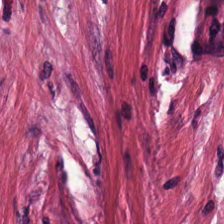H&E.
This patch shows tumor stroma.
